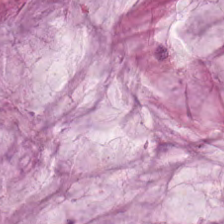H&E-stained tissue section; 224×224 pixel tile.
Finding → mucus.
